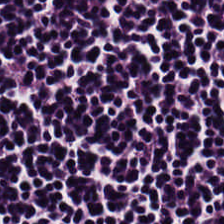Lymphocytic infiltrate.
